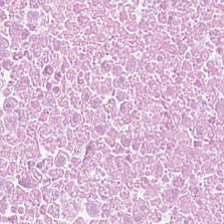Hematoxylin-and-eosin stained section — Predominantly debris.
